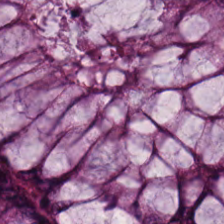Hematoxylin and eosin. The tissue here is benign colonic mucosa.
